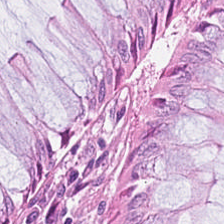H&E · 224×224 pixel tile · 0.5 µm per pixel.
Showing normal colonic mucosa.
